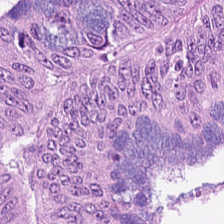Whole-slide-image patch. Hematoxylin and eosin. {"tissue_type": "colorectal adenocarcinoma"}
